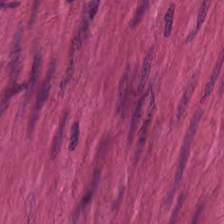Hematoxylin and eosin. FFPE. 20× equivalent magnification. The classification is muscularis.
